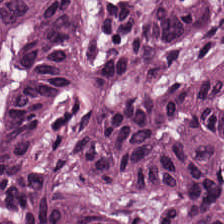H&E stain. Tissue class: colorectal adenocarcinoma epithelium.
